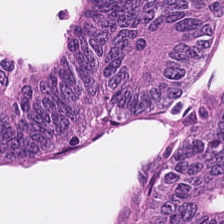Hematoxylin-and-eosin stained section; 224×224 px patch — This field is malignant epithelium.
